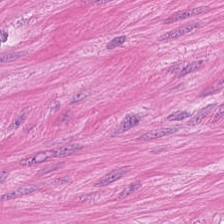FFPE; 224×224 px tile; H&E stain. Smooth-muscle tissue.
